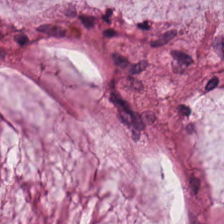Q: What is the predominant tissue type?
A: The field shows mucus.
